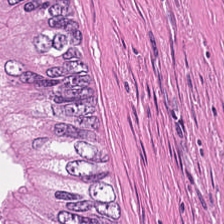Hematoxylin-and-eosin stained section · FFPE. Necrotic debris.
